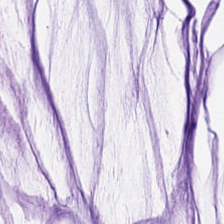0.5 µm per pixel · FFPE · hematoxylin and eosin.
Q: Classify this patch.
A: This is extracellular mucin.
